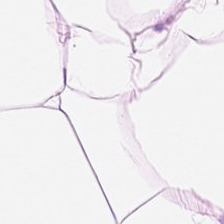H&E — Histology — adipocytes.
